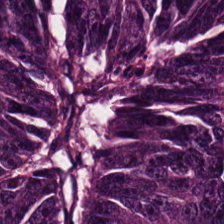Q: What tissue is shown?
A: It is malignant epithelium.
